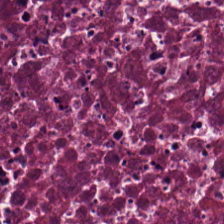H&E-stained tissue section.
Classification: necrotic debris.
